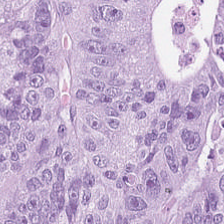Tissue type: adenocarcinoma.
